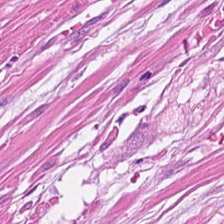Impression — muscularis.
